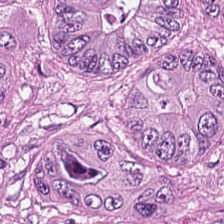H&E; 0.5 microns per pixel; 224×224 px tile — This patch shows colorectal adenocarcinoma epithelium.
